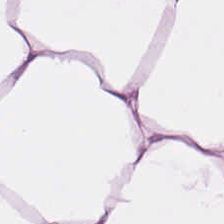Stain: hematoxylin-and-eosin stained section.
Tissue: adipocytes.
